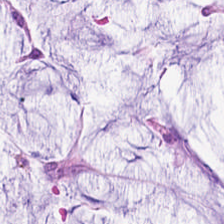0.5 µm/px · hematoxylin and eosin — Tissue type: mucus.
